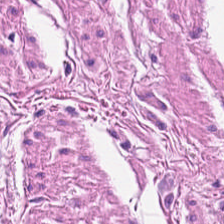H&E. 20× equivalent magnification. WSI patch.
{"tissue_type": "smooth-muscle tissue"}
